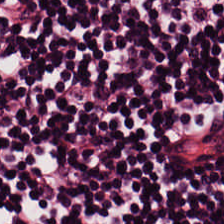Q: What is shown in this field?
A: This is lymphoid infiltrate.
